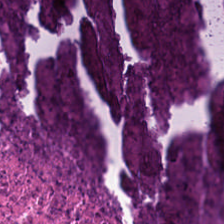0.5 microns per pixel · H&E stain. {"tissue_type": "necrotic debris"}
